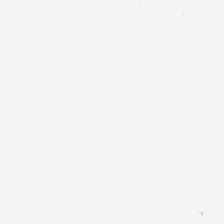Hematoxylin and eosin. 224×224 px tile. FFPE — Field content: no tissue.
